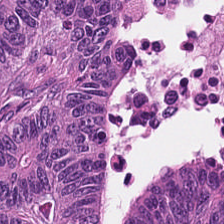Hematoxylin-and-eosin section: adenocarcinoma.
